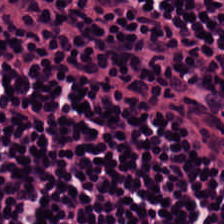Hematoxylin and eosin · FFPE tissue section · brightfield microscopy. The tissue here is lymphoid infiltrate.
